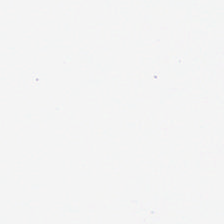Stain: H&E-stained tissue section.
Preparation: FFPE.
Content: empty background.
